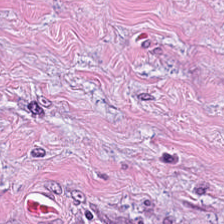H&E-stained tissue section.
Q: Classify this patch.
A: It is cancer-associated stroma.
